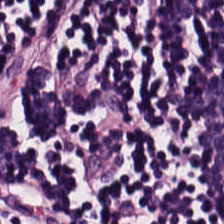Hematoxylin-and-eosin stained section — The predominant tissue is lymphocytes.
